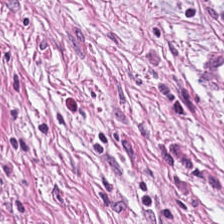H&E.
This field is tumor stroma.
